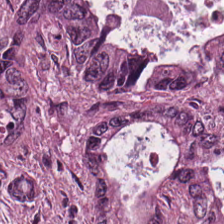H&E stain · FFPE — Impression → adenocarcinoma.
